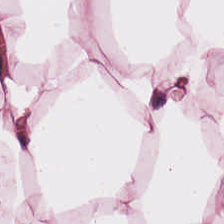H&E-stained tissue section.
This field is fat tissue.
